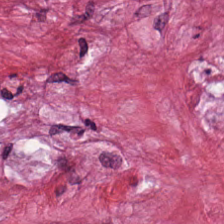Stain: hematoxylin-and-eosin stained section.
Preparation: FFPE.
Acquisition: WSI patch.
Predominant tissue: desmoplastic stroma.
